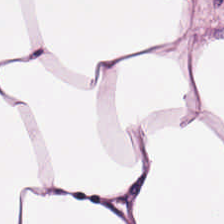224×224 px tile. Brightfield. H&E stain.
Q: What is shown here?
A: Fat tissue.
